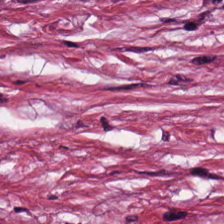FFPE tissue section · H&E-stained tissue section. Desmoplastic stroma.
